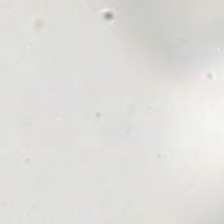FFPE · hematoxylin and eosin.
The content is empty background.
